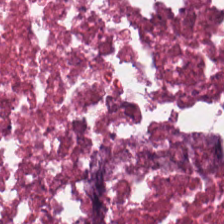Stain: hematoxylin and eosin.
Tissue: debris.
